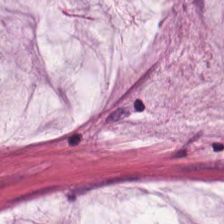H&E-stained tissue section; 224×224 pixel tile. The predominant tissue is mucus.
